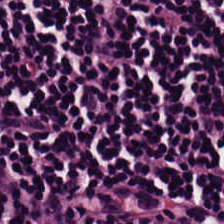H&E-stained tissue section · brightfield · 0.5 µm/px — Showing lymphoid infiltrate.
